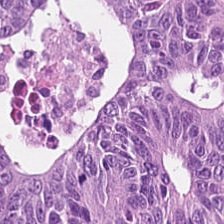H&E-stained tissue section · FFPE · 0.5 microns per pixel. Classification — colorectal adenocarcinoma epithelium.
